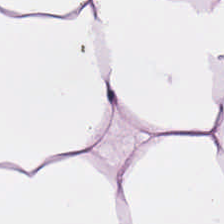H&E.
Q: What tissue is shown?
A: This is adipocytes.
